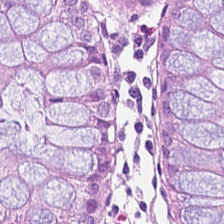Q: What tissue is shown?
A: This is benign colonic mucosa.
